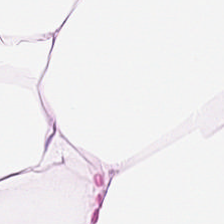Q: Identify the tissue.
A: The field shows adipocytes.
